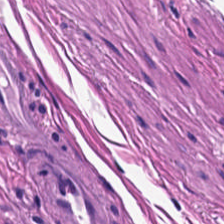Hematoxylin-and-eosin stained section.
This field is muscularis.
